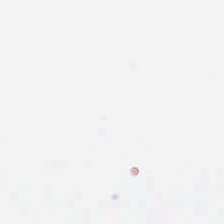Hematoxylin-and-eosin stained section. This patch shows empty background.
